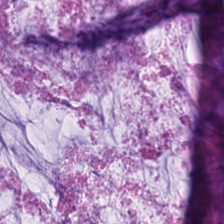H&E stain · 0.5 µm per pixel. This field is extracellular mucin.
